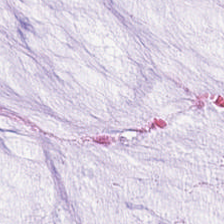H&E-stained tissue section showing mucus.
